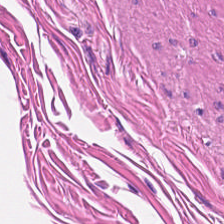Hematoxylin and eosin.
Predominantly smooth muscle.
